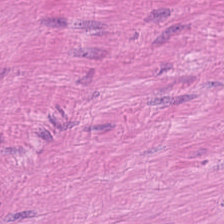Hematoxylin and eosin — {"tissue_type": "smooth-muscle tissue"}
